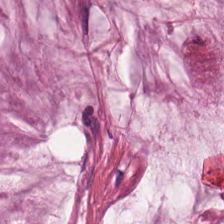H&E stain. This patch shows mucin.
